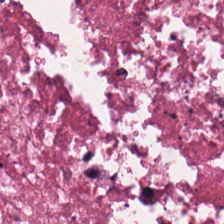H&E-stained tissue section — Predominant tissue = cellular debris.
